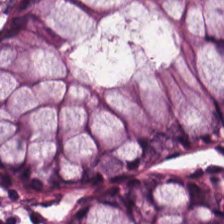0.5 µm per pixel · H&E.
The tissue is normal colon mucosa.
